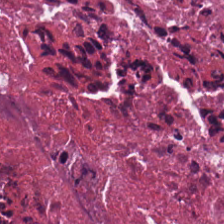H&E-stained tissue section. Showing cellular debris.
